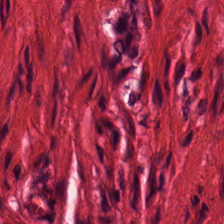H&E.
This field is muscularis.
